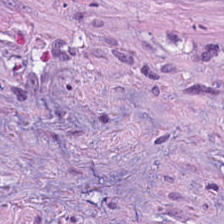Stain: H&E stain.
Tile size: 224×224 pixel tile.
Classification: desmoplastic stroma.
